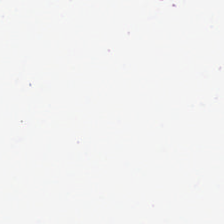0.5 µm/px. Hematoxylin-and-eosin stained section. Finding → empty background.
